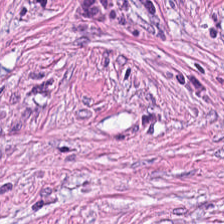H&E. The tissue is tumor stroma.
